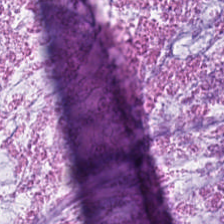H&E. 0.5 microns per pixel. Predominantly mucin.
